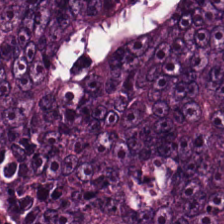Brightfield; H&E stain. Showing malignant epithelium.
